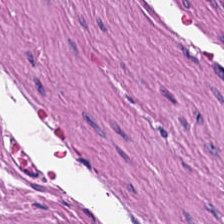H&E — smooth muscle.
